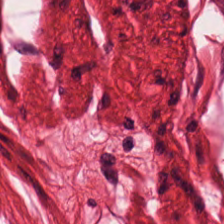H&E-stained tissue section — Q: What is the predominant tissue type?
A: It is smooth muscle.
